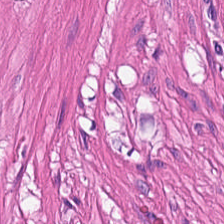H&E-stained tissue section · formalin-fixed paraffin-embedded section. Q: What is shown here?
A: The field shows smooth-muscle tissue.
